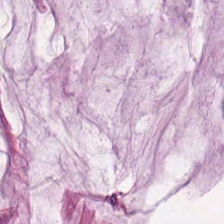H&E. 0.5 µm/px — This patch shows mucin.
